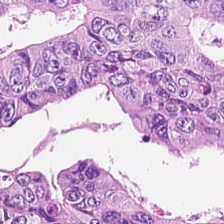Hematoxylin-and-eosin stained section. FFPE. 0.5 µm/px.
This field is tumor epithelium.
